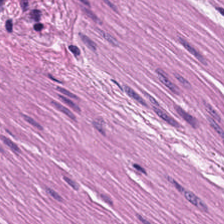Classification = muscularis.
